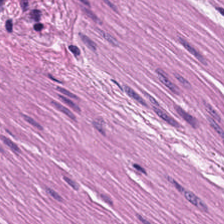Classification = muscularis.
